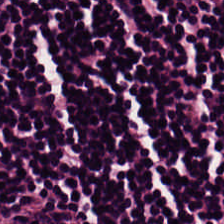Stain: hematoxylin-and-eosin stained section.
Resolution: 20× equivalent magnification.
Preparation: FFPE.
Tissue class: lymphocyte aggregate.
